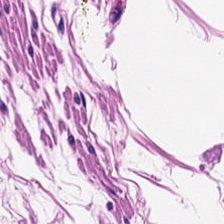Stain: hematoxylin and eosin.
Classification: smooth muscle.
